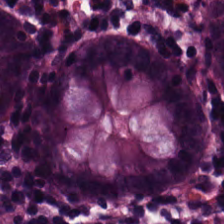H&E-stained tissue section showing non-neoplastic colon mucosa.
